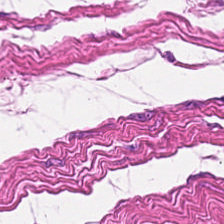H&E-stained tissue section. This field is smooth muscle.
